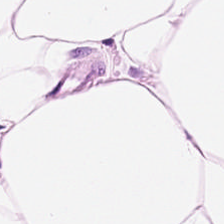H&E-stained tissue section. Q: What is shown in this field?
A: This is fat tissue.
